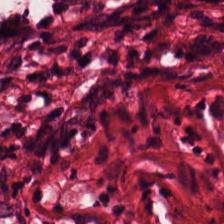Brightfield · H&E-stained tissue section · 20× equivalent magnification.
The tissue class is desmoplastic stroma.
